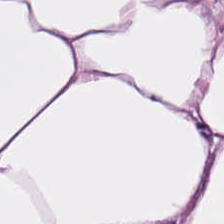Q: What is shown here?
A: Adipocytes.
